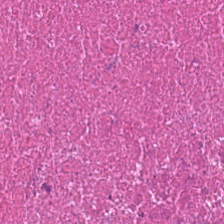H&E stain · formalin-fixed paraffin-embedded section — Debris.
